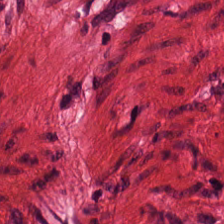H&E. WSI patch. 0.5 µm per pixel. This field is smooth muscle.
